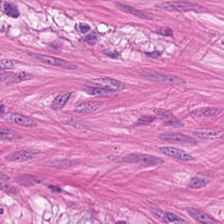Tissue type: smooth muscle.
